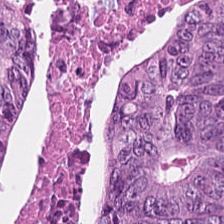Stain: hematoxylin-and-eosin stained section.
Acquisition: whole-slide-image patch.
Tissue type: adenocarcinoma.
